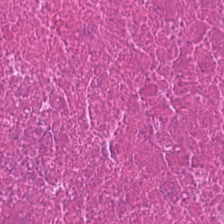H&E patch showing cellular debris.
